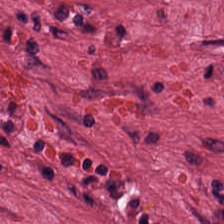Tissue — cancer-associated stroma.
